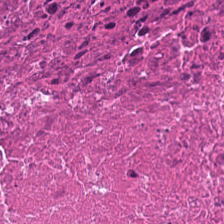H&E.
Finding → necrotic debris.
